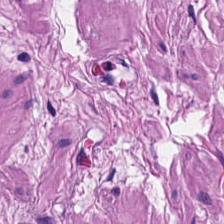Hematoxylin and eosin — {"tissue_type": "smooth-muscle tissue"}
